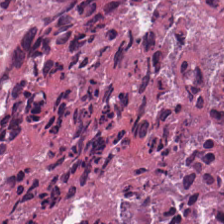The predominant tissue is debris.
